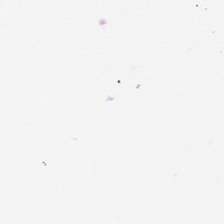Background — no tissue in this field.
